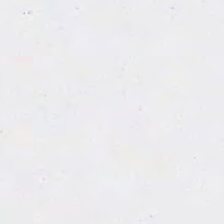Hematoxylin-and-eosin stained section. FFPE. 224×224 pixel tile. Field content: empty background.
